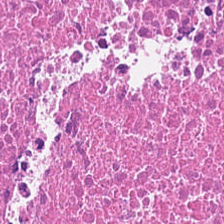Q: What type of tissue is this?
A: It is necrotic debris.
